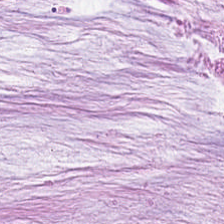FFPE tissue section. H&E stain.
The tissue class is extracellular mucin.
